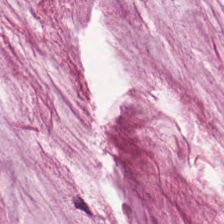H&E-stained tissue section — The tissue here is mucus.
